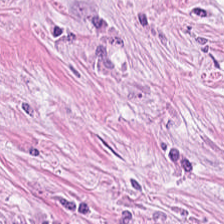Showing tumor stroma.
